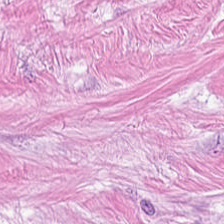Stain: H&E stain.
Tissue class: tumor stroma.
